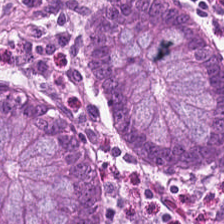224×224 px tile. 0.5 µm/px. Hematoxylin and eosin — Showing benign colonic mucosa.
